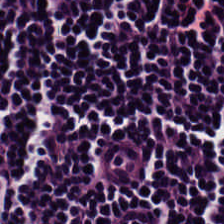H&E stain — Showing lymphocytes.
